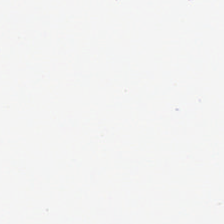H&E stain. This patch shows background (no tissue).
